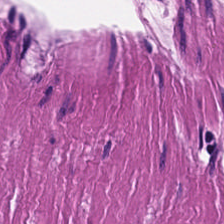Hematoxylin and eosin. Q: What does this patch show?
A: Muscularis.
